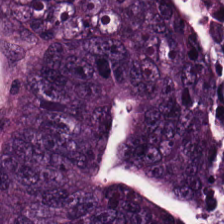Stain: hematoxylin-and-eosin stained section.
Tile size: 224×224 px tile.
Predominant tissue: tumor epithelium.
